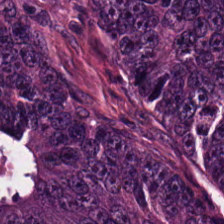H&E stain — The tissue is colorectal adenocarcinoma.
